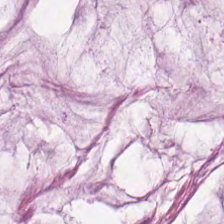Predominant tissue — extracellular mucin.
